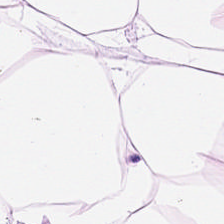H&E.
The predominant tissue is adipocytes.
